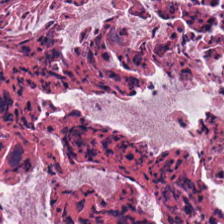Whole-slide-image patch; H&E. The predominant tissue is cellular debris.
